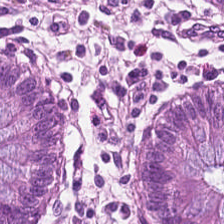0.5 µm/px. H&E. 224×224 px tile — Histology — normal colonic mucosa.
